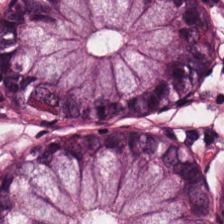H&E.
The tissue class is non-neoplastic colon mucosa.
